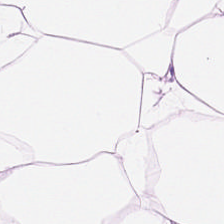Stain: H&E.
Tissue type: fat tissue.
